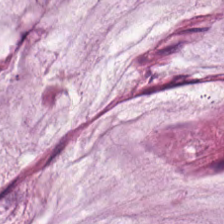Hematoxylin-and-eosin stained section. The classification is mucus.
